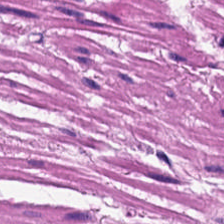{"tissue_type": "smooth-muscle tissue"}
